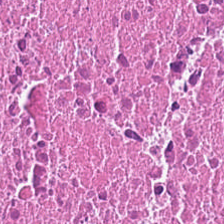Stain: H&E.
Tile size: 224×224 px tile.
Tissue class: necrotic debris.
